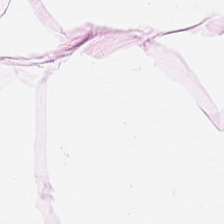Classification = adipocytes.
